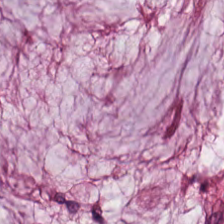Showing mucus.
